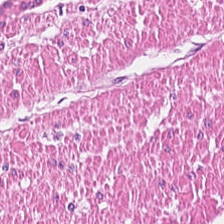Stain: hematoxylin and eosin.
Preparation: FFPE tissue section.
Tissue type: smooth-muscle tissue.
